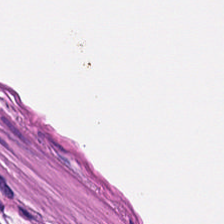This patch shows smooth-muscle tissue.
